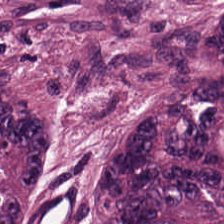Hematoxylin and eosin. Q: What tissue type is shown here?
A: This is adenocarcinoma.
